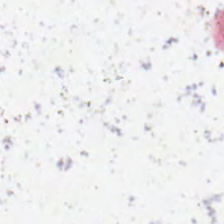Hematoxylin-and-eosin stained section.
Empty field — background (no tissue).
